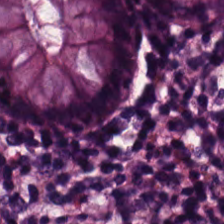H&E-stained tissue section — Q: What is the predominant tissue type?
A: The field shows normal colon mucosa.
